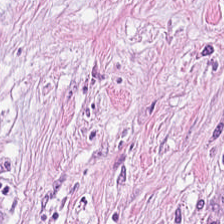Q: What is shown in this field?
A: The field shows cancer-associated stroma.
